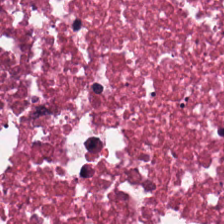Brightfield; 0.5 µm per pixel; H&E stain.
Histology — debris.
